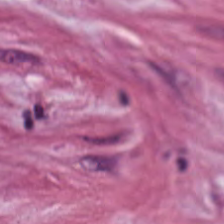WSI patch. 20× equivalent magnification. H&E stain. Finding → desmoplastic stroma.
